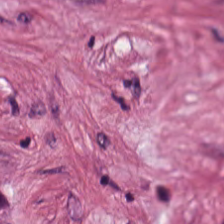Hematoxylin-and-eosin stained section — {"tissue_type": "tumor-associated stroma"}
